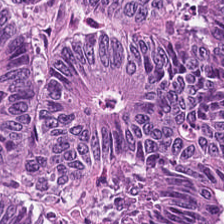Q: Classify this patch.
A: It is colorectal adenocarcinoma.
